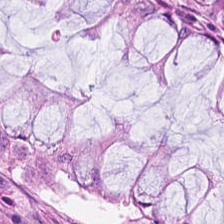H&E; brightfield microscopy.
The predominant tissue is normal colon mucosa.
